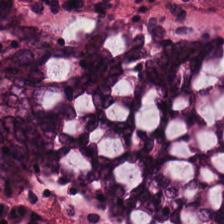Hematoxylin-and-eosin stained section.
Q: What tissue is shown?
A: Benign colonic mucosa.
